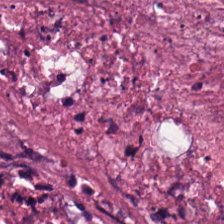H&E-stained tissue section — Q: What is shown here?
A: This is necrotic debris.
